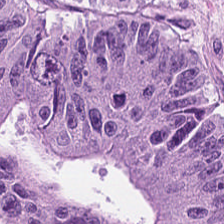20× equivalent magnification. WSI patch. H&E-stained tissue section. Tissue class = colorectal adenocarcinoma epithelium.
